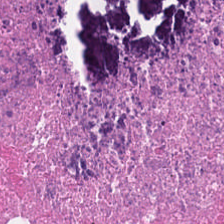224×224 pixel tile; H&E-stained tissue section — The tissue here is necrotic debris.
